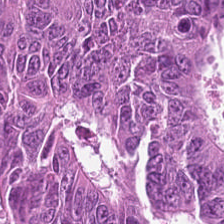Hematoxylin and eosin · FFPE — {"tissue_type": "adenocarcinoma"}
